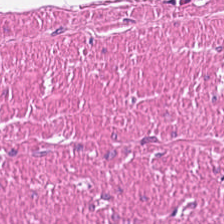Stain: H&E stain.
Predominant tissue: smooth-muscle tissue.
